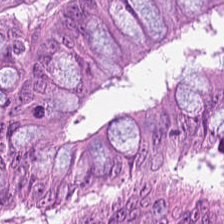H&E — Malignant epithelium.
